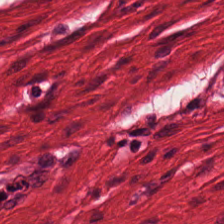Q: What tissue type is shown here?
A: It is smooth-muscle tissue.
